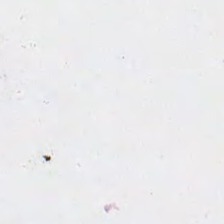0.5 µm/px; H&E; FFPE — This field is background (no tissue).
